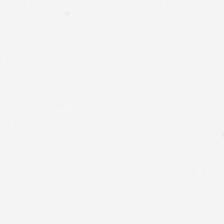Q: What does this patch show?
A: Background.
